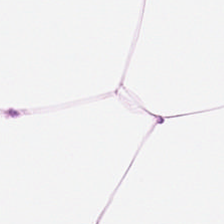Hematoxylin-and-eosin stained section; 0.5 µm/px.
Predominantly fat tissue.
